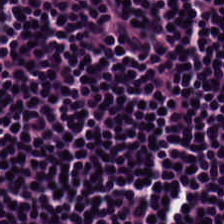Hematoxylin-and-eosin stained section. Tissue type — lymphocytes.
